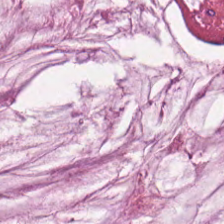H&E-stained tissue section showing mucus.
